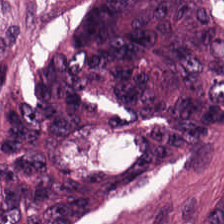H&E. Showing tumor epithelium.
